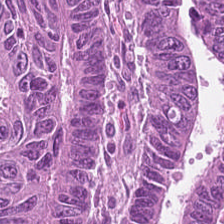H&E — Q: What tissue is shown?
A: Tumor epithelium.
